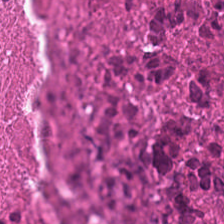{"tissue_type": "necrotic debris"}
